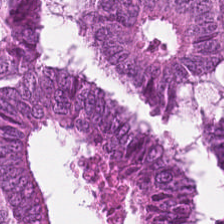0.5 microns per pixel. Hematoxylin and eosin.
Q: What tissue is shown?
A: This is malignant epithelium.
